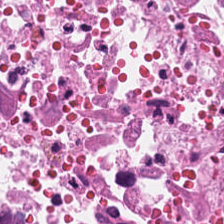Brightfield · H&E — Showing cellular debris.
